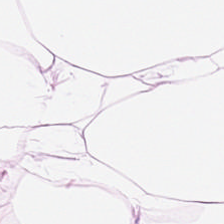H&E — This field is fat tissue.
